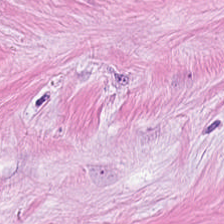Hematoxylin and eosin · 224×224 px tile · formalin-fixed paraffin-embedded section.
Tissue type = cancer-associated stroma.
